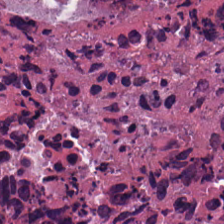H&E-stained tissue section. 0.5 µm per pixel. Q: What tissue type is shown here?
A: This is necrotic debris.
